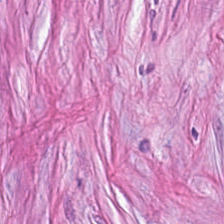H&E-stained tissue section showing desmoplastic stroma.
